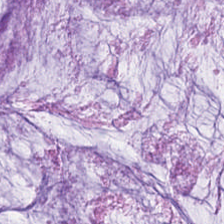The tissue is extracellular mucin.
